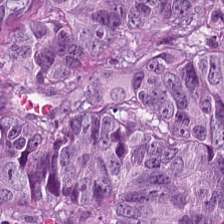H&E-stained tissue section. 0.5 µm per pixel. WSI patch — Finding — colorectal adenocarcinoma epithelium.
